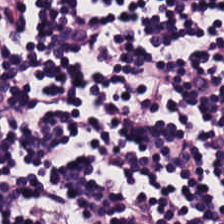Stain: H&E.
Classification: lymphocytic infiltrate.
